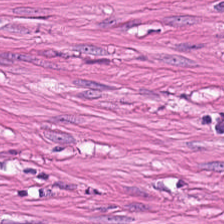The predominant tissue is muscularis.
